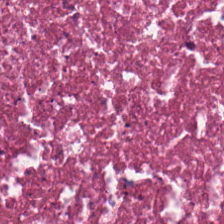WSI patch; hematoxylin-and-eosin stained section; FFPE.
Q: What is shown in this field?
A: This is debris.
